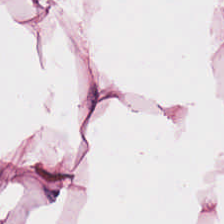H&E stain; FFPE. Predominant tissue: adipose tissue.
